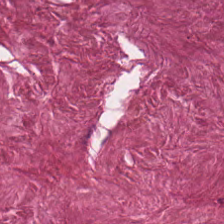{"tissue_type": "tumor-associated stroma"}
